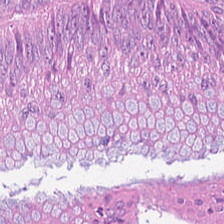H&E-stained section; the field shows tumor epithelium.
